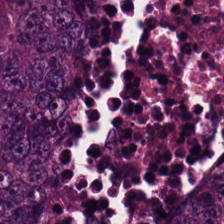Predominant tissue — colorectal adenocarcinoma.
